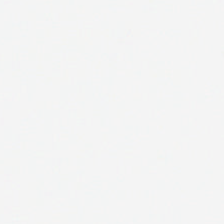0.5 µm/px · H&E-stained tissue section · brightfield microscopy — Classification: empty background.
